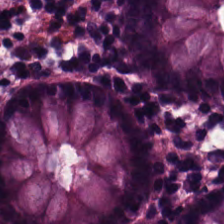Formalin-fixed paraffin-embedded section; H&E stain; 20× equivalent magnification.
Q: What tissue type is shown here?
A: Non-neoplastic colon mucosa.
